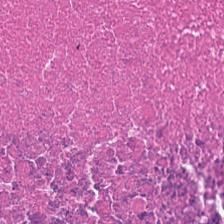H&E stain. Debris.
